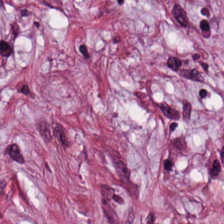H&E — {"tissue_type": "tumor-associated stroma"}
